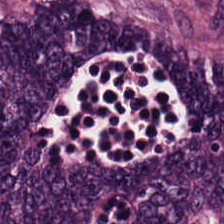Stain: hematoxylin and eosin.
Predominant tissue: adenocarcinoma.
